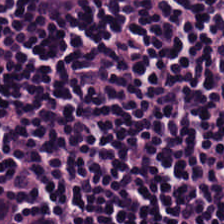Hematoxylin-and-eosin stained section — The tissue is lymphocyte aggregate.
